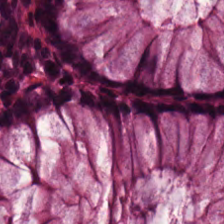H&E-stained tissue section.
Q: What is shown in this field?
A: This is normal colon mucosa.
